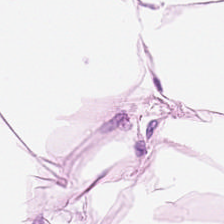Whole-slide-image patch; FFPE; hematoxylin and eosin. {"tissue_type": "adipose tissue"}
